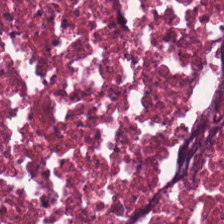WSI patch. H&E stain.
{"tissue_type": "cellular debris"}
